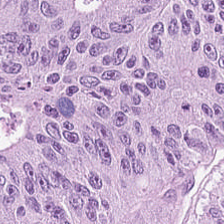0.5 microns per pixel; hematoxylin-and-eosin stained section; FFPE tissue section — Finding — malignant epithelium.
